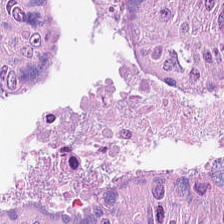Tissue class: colorectal adenocarcinoma.
